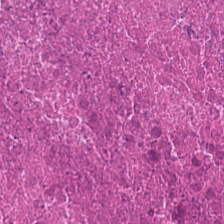Hematoxylin-and-eosin stained section.
Predominantly debris.
